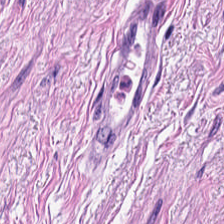Hematoxylin-and-eosin stained section.
Q: What is the predominant tissue type?
A: This is smooth muscle.
